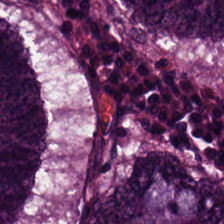The tissue class is malignant epithelium.
